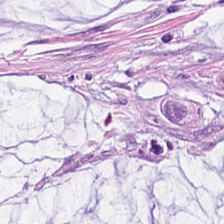Stain: H&E stain.
Tile size: 224×224 pixel tile.
Tissue type: extracellular mucin.
